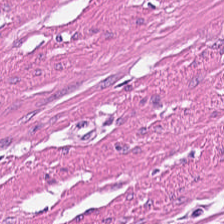Brightfield microscopy; FFPE; H&E stain.
Predominant tissue = smooth muscle.
